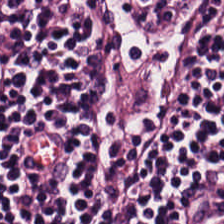224×224 px tile · H&E. Q: What tissue type is shown here?
A: It is lymphoid infiltrate.
